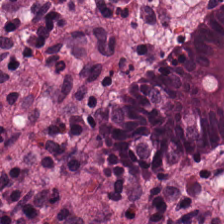Stain: H&E-stained tissue section.
Tissue: normal colon mucosa.
